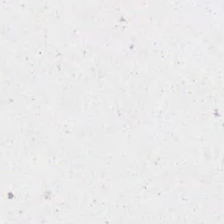Content = background (no tissue).
